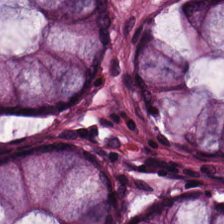Hematoxylin-and-eosin stained section; whole-slide-image patch; 224×224 pixel tile.
Impression — non-neoplastic colon mucosa.
